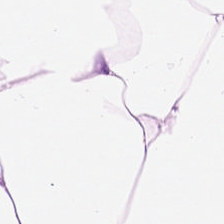The tissue class is adipose tissue.
